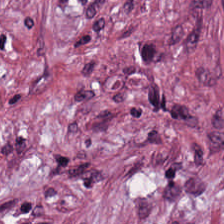H&E.
Finding → tumor stroma.
